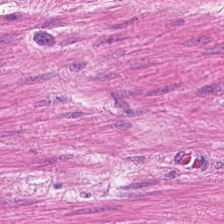0.5 µm/px. H&E — Q: Classify this patch.
A: Muscularis.
